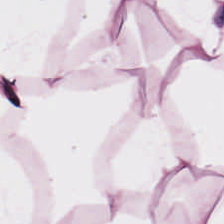Hematoxylin-and-eosin stained section — Histology — fat tissue.
